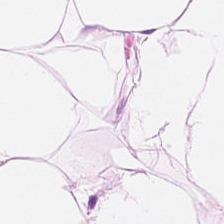This patch shows adipose tissue.
